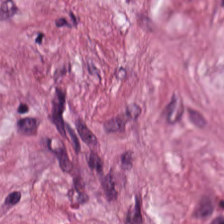H&E.
Histology — desmoplastic stroma.
